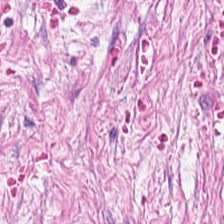H&E-stained tissue section. WSI patch. 20× equivalent magnification.
Showing cancer-associated stroma.
